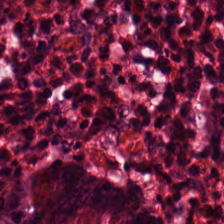Hematoxylin and eosin. Classification: benign colonic mucosa.
